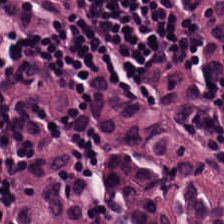H&E — lymphocytes.
